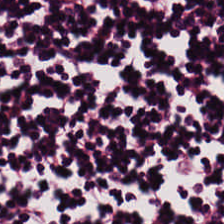H&E — lymphocytes.
